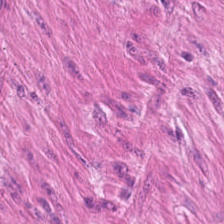Formalin-fixed paraffin-embedded section · H&E stain. Histology → smooth muscle.
